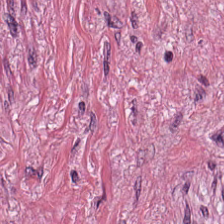H&E.
The tissue here is tumor-associated stroma.
